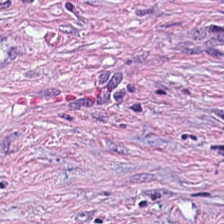0.5 µm/px · hematoxylin-and-eosin stained section — The classification is desmoplastic stroma.
